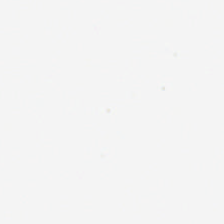No tissue.
